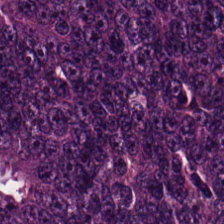Stain: hematoxylin and eosin.
Acquisition: brightfield microscopy.
Tissue class: adenocarcinoma.
